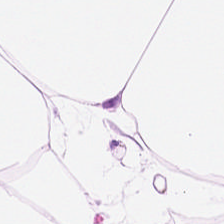H&E-stained tissue section. 224×224 px patch — The predominant tissue is adipocytes.
